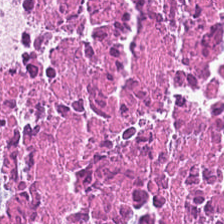224×224 px tile. H&E stain. The tissue here is debris.
